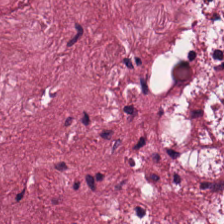H&E-stained tissue section. FFPE. Showing tumor-associated stroma.
